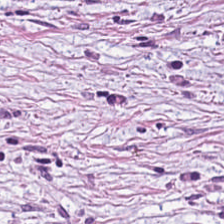Predominant tissue — tumor-associated stroma.
